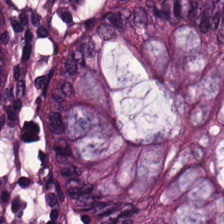Hematoxylin and eosin. Impression — non-neoplastic colon mucosa.
